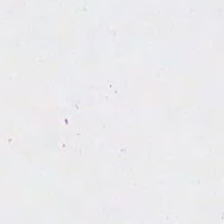H&E — Classification: empty background.
